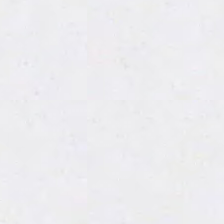WSI patch · 224×224 px patch · H&E-stained tissue section. This patch shows background (no tissue).
